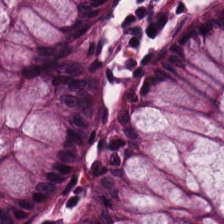H&E. 224×224 pixel tile.
Predominantly non-neoplastic colon mucosa.
